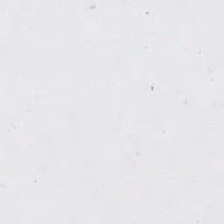224×224 px tile · FFPE tissue section · H&E-stained tissue section — Field content: background.
